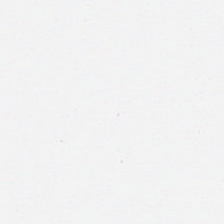224×224 pixel tile · H&E-stained tissue section — Content — no tissue.
